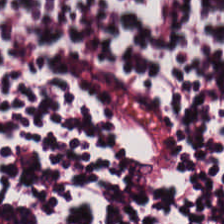H&E — lymphoid infiltrate.
